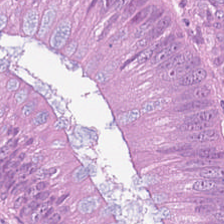224×224 px patch; 0.5 µm/px; H&E stain. The tissue here is tumor epithelium.
